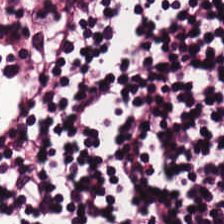Q: Identify the tissue.
A: It is lymphocyte aggregate.
